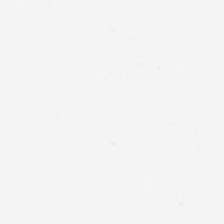FFPE; 0.5 µm per pixel; hematoxylin and eosin.
Impression — empty background.
